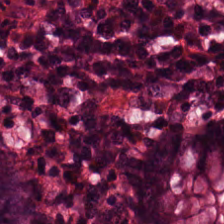H&E stain. Brightfield microscopy. Finding — normal colonic mucosa.
